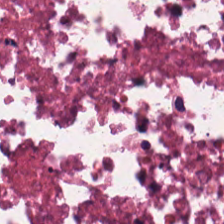H&E. 224×224 pixel tile.
The predominant tissue is cellular debris.
